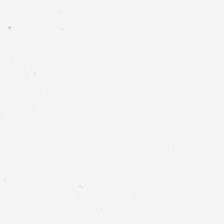Brightfield · H&E stain — Impression → no tissue.
